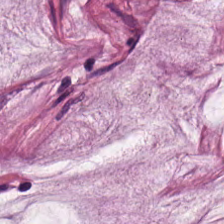H&E patch showing mucin.
